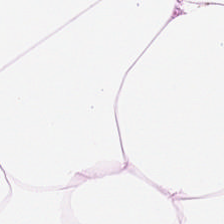H&E-stained tissue section. This patch shows fat tissue.
